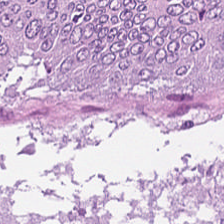H&E stain.
Q: Identify the tissue.
A: This is tumor epithelium.
